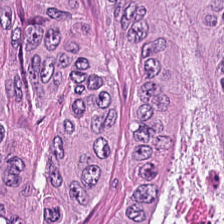Predominant tissue = colorectal adenocarcinoma epithelium.
